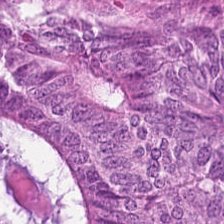Q: What tissue is shown?
A: The field shows tumor epithelium.
